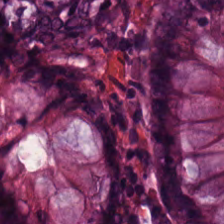H&E stain. Q: What does this patch show?
A: This is normal colonic mucosa.
